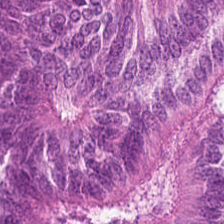H&E stain. The tissue here is colorectal adenocarcinoma epithelium.
